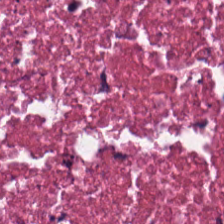H&E-stained tissue section — Q: What is shown in this field?
A: Debris.
